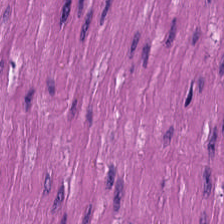Q: What tissue is shown?
A: The field shows muscularis.
